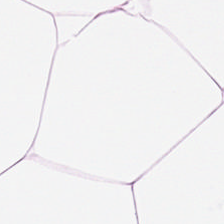Stain: hematoxylin-and-eosin stained section.
Tissue: fat tissue.
